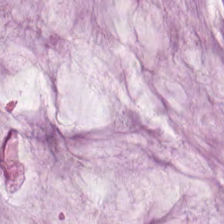H&E patch showing extracellular mucin.
